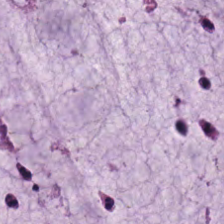H&E; 0.5 microns per pixel. The predominant tissue is mucus.
